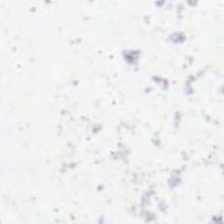Hematoxylin-and-eosin stained section. Empty field — background (no tissue).
